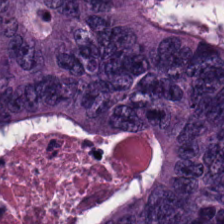H&E stain.
The predominant tissue is colorectal adenocarcinoma epithelium.
